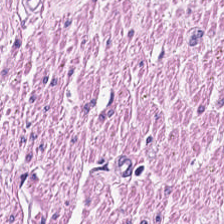Smooth-muscle tissue.
